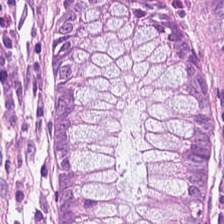Hematoxylin and eosin. 224×224 px patch — Finding → non-neoplastic colon mucosa.
